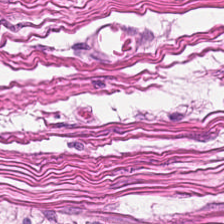Hematoxylin and eosin.
This field is smooth muscle.
